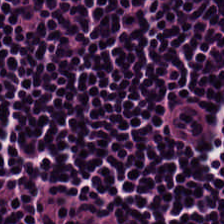H&E stain. 0.5 µm per pixel. Brightfield — Predominant tissue — lymphocytes.
